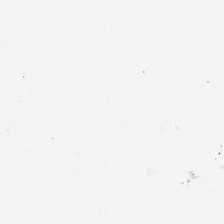Field content — empty background.
